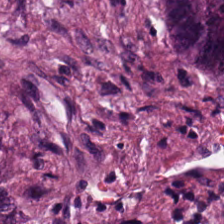Q: Classify this patch.
A: It is adenocarcinoma.
